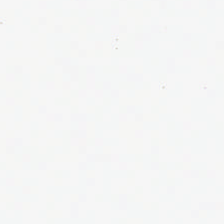H&E-stained tissue section.
Field content: background (no tissue).
